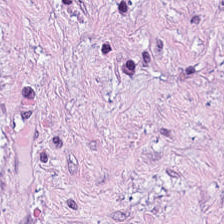Hematoxylin and eosin; 0.5 µm/px; FFPE tissue section. Tissue class: cancer-associated stroma.
